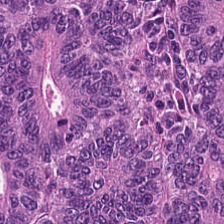This field is malignant epithelium.
